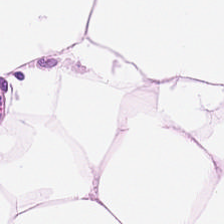H&E stain. {"tissue_type": "adipose"}
